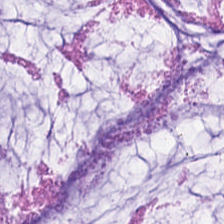Stain: hematoxylin-and-eosin stained section.
Preparation: FFPE.
Tile size: 224×224 px patch.
Tissue: extracellular mucin.
